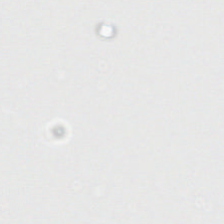Stain: H&E.
Classification: empty background.
